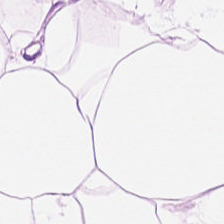Stain: H&E.
Tissue class: adipocytes.
